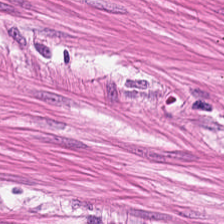Q: What does this patch show?
A: It is smooth muscle.
